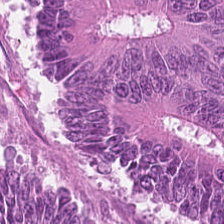224×224 px tile. Hematoxylin-and-eosin stained section. Showing adenocarcinoma.
